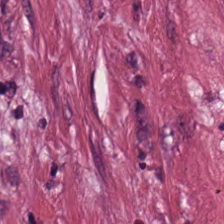Hematoxylin and eosin. Whole-slide-image patch — Q: What tissue is shown?
A: Tumor stroma.
